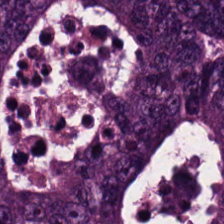Formalin-fixed paraffin-embedded section; hematoxylin and eosin.
Histology — adenocarcinoma.
